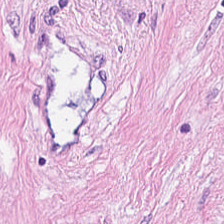Stain: H&E.
Classification: tumor-associated stroma.
